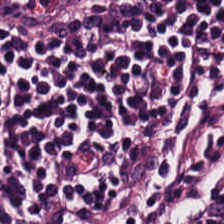H&E.
Predominantly lymphoid infiltrate.
